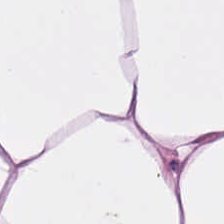FFPE tissue section. Hematoxylin and eosin. 20× equivalent magnification. Q: What is the predominant tissue type?
A: It is adipose tissue.
